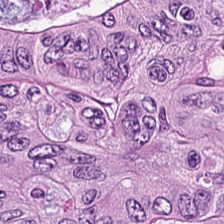Stain: hematoxylin-and-eosin stained section.
Resolution: 0.5 µm per pixel.
Tissue class: malignant epithelium.
